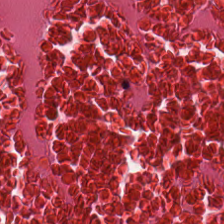Stain: hematoxylin and eosin.
Tissue: cellular debris.
